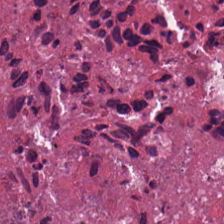Necrotic debris.
